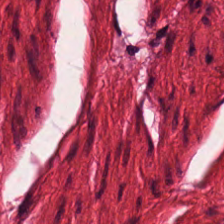H&E stain.
Histology — smooth-muscle tissue.
